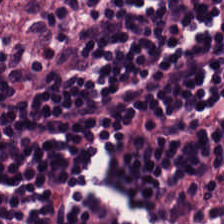Tissue — lymphocytes.
